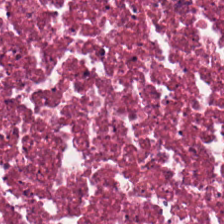224×224 px tile · H&E-stained tissue section · 0.5 microns per pixel. Tissue type: debris.
